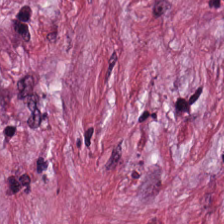Formalin-fixed paraffin-embedded section. H&E stain. WSI patch.
This field is tumor-associated stroma.
